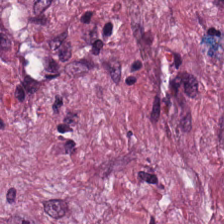Brightfield microscopy. 224×224 pixel tile. H&E stain. Tissue class = tumor stroma.
